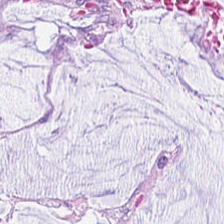Hematoxylin and eosin.
This patch shows mucus.
